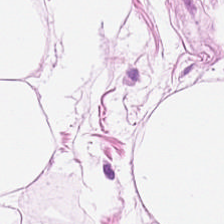H&E — Finding → adipose tissue.
